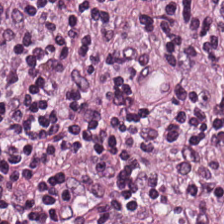FFPE · H&E stain · 224×224 pixel tile.
The tissue class is lymphocytes.
